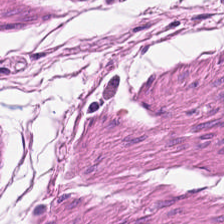Histology — smooth muscle.
